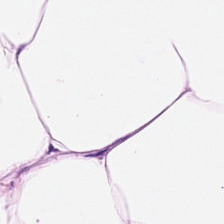Stain: hematoxylin and eosin.
Predominant tissue: adipose tissue.
